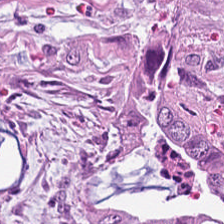Hematoxylin and eosin. Showing cancer-associated stroma.
